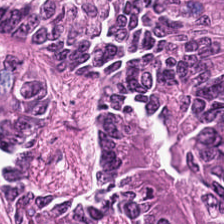Stain: H&E-stained tissue section.
Tissue type: adenocarcinoma.
